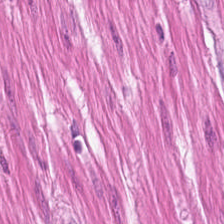Hematoxylin-and-eosin stained section.
Q: What tissue is shown?
A: The field shows muscularis.
